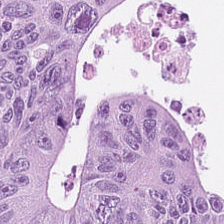Hematoxylin-and-eosin section: colorectal adenocarcinoma epithelium.
